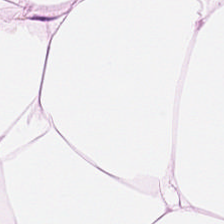Stain: H&E stain.
Classification: fat tissue.
